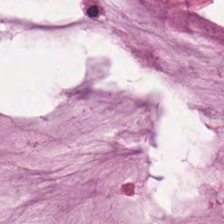Hematoxylin and eosin; 224×224 px patch; formalin-fixed paraffin-embedded section — The predominant tissue is extracellular mucin.
